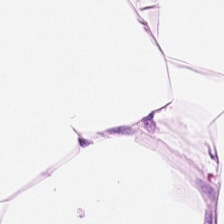The predominant tissue is adipocytes.
